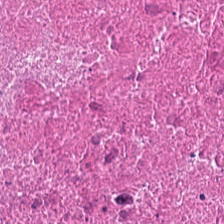H&E stain. 0.5 µm/px. Q: What tissue type is shown here?
A: It is cellular debris.
